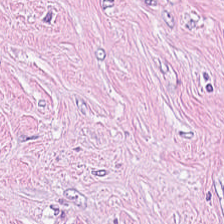H&E. Q: Classify this patch.
A: It is desmoplastic stroma.
